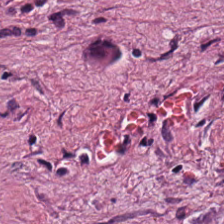This field is desmoplastic stroma.
